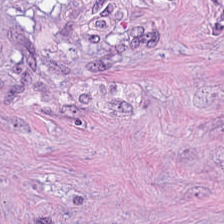Hematoxylin-and-eosin stained section. Q: What tissue is shown?
A: This is tumor stroma.
